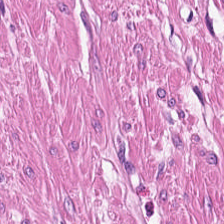Q: What does this patch show?
A: Smooth muscle.
